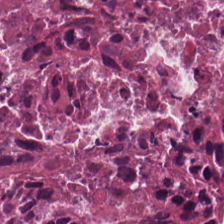Stain: H&E-stained tissue section.
Predominant tissue: cellular debris.
